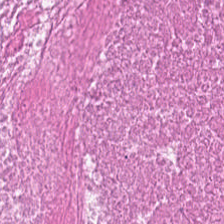H&E stain. The tissue here is necrotic debris.
